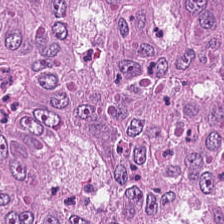H&E-stained tissue section — The classification is malignant epithelium.
